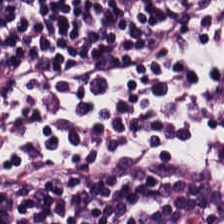FFPE · H&E stain.
Q: What does this patch show?
A: Lymphocytes.
